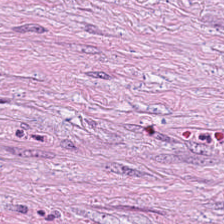Brightfield · H&E-stained tissue section — Finding → cancer-associated stroma.
